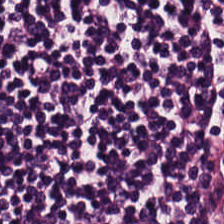Whole-slide-image patch; hematoxylin and eosin; 224×224 px tile.
Impression — lymphocytic infiltrate.
